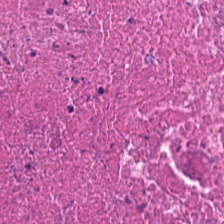{"tissue_type": "cellular debris"}
